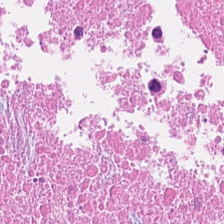{"tissue_type": "necrotic debris"}
